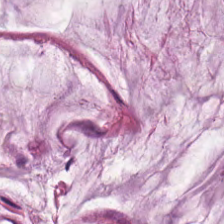224×224 pixel tile. 0.5 µm/px. Hematoxylin and eosin. {"tissue_type": "mucin"}
